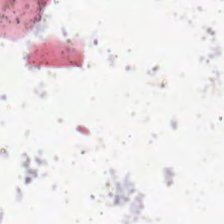WSI patch; H&E-stained tissue section — {"content": "no tissue"}
